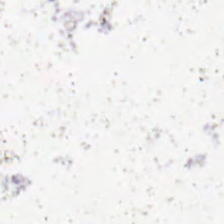Stain: hematoxylin-and-eosin stained section.
Preparation: formalin-fixed paraffin-embedded section.
Classification: empty background.
